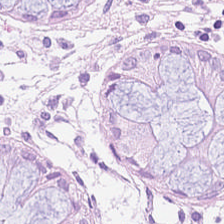Tissue type — normal colon mucosa.
